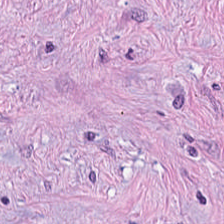H&E — Q: What type of tissue is this?
A: Tumor stroma.
